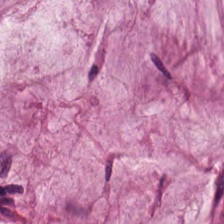H&E stain. This patch shows mucus.
